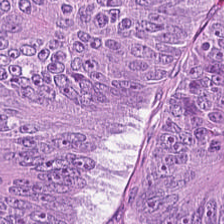Hematoxylin and eosin. Finding → adenocarcinoma.
